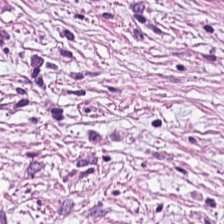Hematoxylin and eosin · formalin-fixed paraffin-embedded section · whole-slide-image patch — Q: What is shown here?
A: The field shows tumor stroma.
